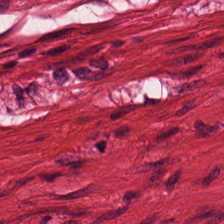Hematoxylin-and-eosin stained section; brightfield. This field is smooth muscle.
